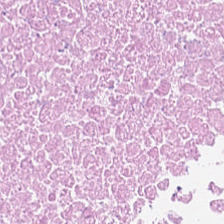Tissue class — cellular debris.
